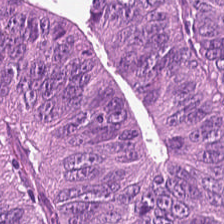H&E stain. Formalin-fixed paraffin-embedded section. Tissue: adenocarcinoma.
